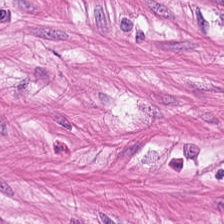H&E-stained tissue section · brightfield · 0.5 µm/px.
Tissue: smooth-muscle tissue.
